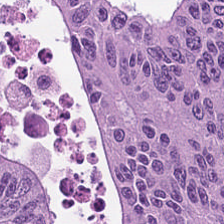Brightfield microscopy. 224×224 pixel tile. H&E — Impression → colorectal adenocarcinoma epithelium.
